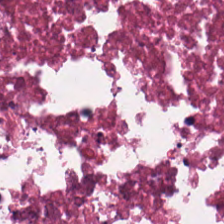Hematoxylin-and-eosin stained section — Q: What type of tissue is this?
A: The field shows necrotic debris.
